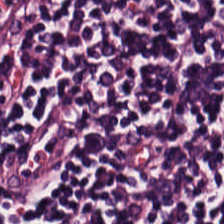Hematoxylin and eosin · 224×224 px tile — The predominant tissue is lymphoid infiltrate.
